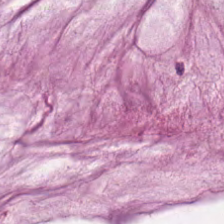H&E. 224×224 px patch. Whole-slide-image patch. The predominant tissue is extracellular mucin.
